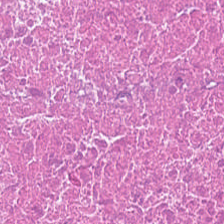H&E patch showing necrotic debris.
